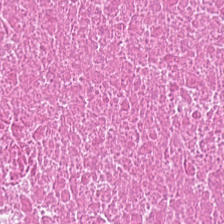0.5 microns per pixel. Hematoxylin and eosin — Tissue — necrotic debris.
